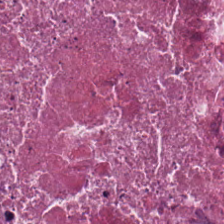H&E-stained tissue section showing debris.
